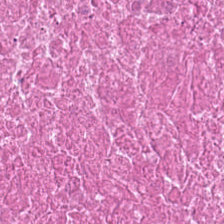Brightfield microscopy. H&E stain. 20× equivalent magnification — Q: What type of tissue is this?
A: This is cellular debris.
